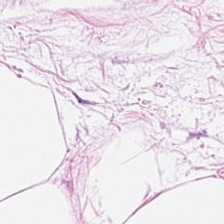H&E stain — Showing adipose tissue.
